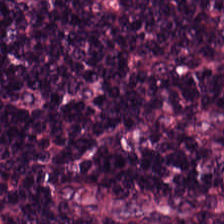Q: What does this patch show?
A: The field shows lymphoid infiltrate.
